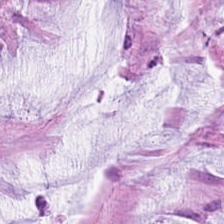H&E-stained tissue section.
Showing mucus.
